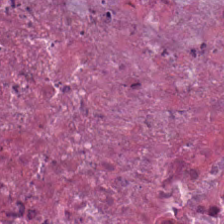H&E stain; FFPE; 224×224 px tile. Finding → debris.
